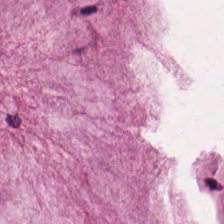Brightfield; hematoxylin and eosin — Extracellular mucin.
